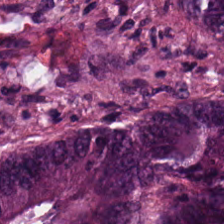Stain: hematoxylin-and-eosin stained section.
Tissue class: colorectal adenocarcinoma epithelium.
